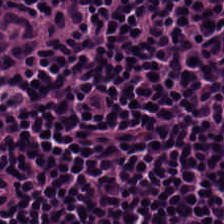Showing lymphocytes.
